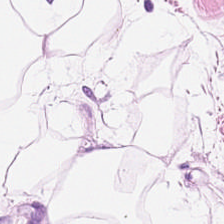Hematoxylin-and-eosin stained section; 224×224 px patch. Predominantly adipose tissue.
